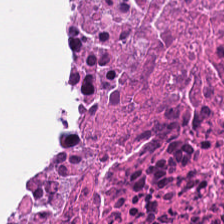Q: What is shown in this field?
A: It is cellular debris.
